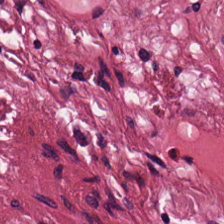H&E. Whole-slide-image patch — The classification is cancer-associated stroma.
